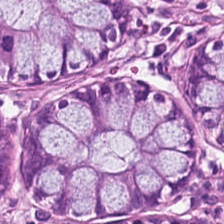Stain: H&E.
Preparation: FFPE tissue section.
Predominant tissue: normal colonic mucosa.
